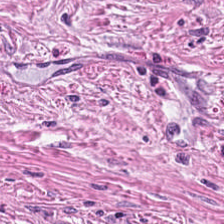The predominant tissue is cancer-associated stroma.
